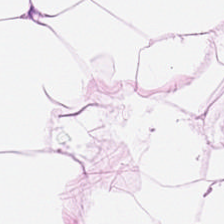Hematoxylin-and-eosin stained section. Q: Identify the tissue.
A: Adipose.
